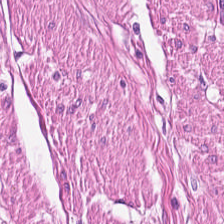H&E stain — The tissue here is smooth muscle.
